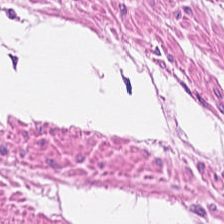Whole-slide-image patch · hematoxylin and eosin — {"tissue_type": "smooth-muscle tissue"}
